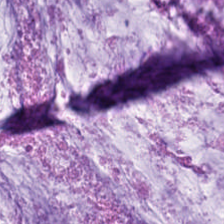H&E. The tissue is mucus.
